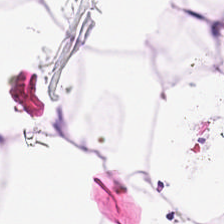224×224 px tile; H&E. Tissue = adipocytes.
